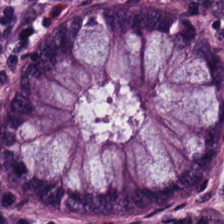FFPE; hematoxylin and eosin. The tissue is benign colonic mucosa.
